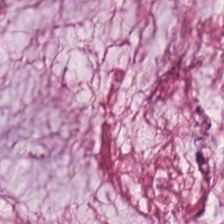0.5 µm/px; hematoxylin and eosin. Tissue: mucin.
